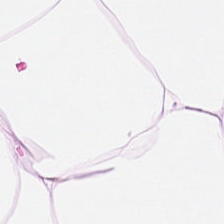Hematoxylin and eosin — Q: Identify the tissue.
A: Adipocytes.
